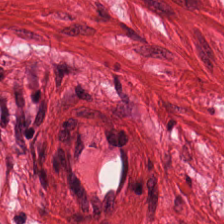Hematoxylin and eosin.
Classification — smooth muscle.
